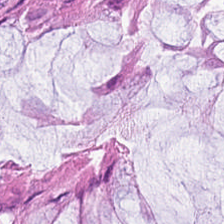H&E-stained tissue section. Tissue: benign colonic mucosa.
